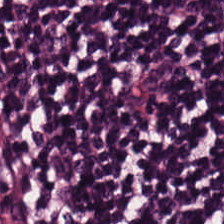FFPE. H&E stain. The predominant tissue is lymphocyte aggregate.
